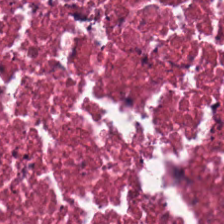H&E · brightfield. Histology → debris.
